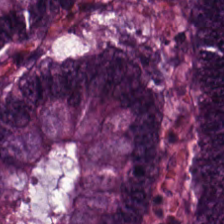H&E stain. Histology → malignant epithelium.
